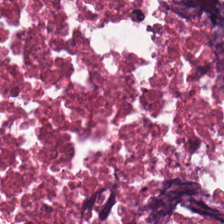H&E stain. Tissue class — debris.
